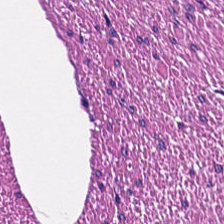The predominant tissue is muscularis.
